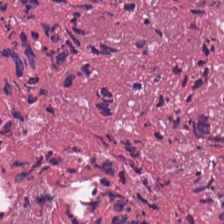Finding → necrotic debris.
